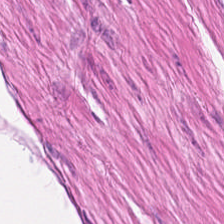Stain: H&E.
Tissue class: smooth-muscle tissue.
